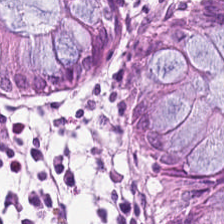Formalin-fixed paraffin-embedded section · H&E.
Tissue type: non-neoplastic colon mucosa.
